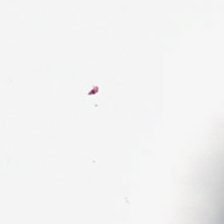Stain: hematoxylin and eosin.
Classification: background.
